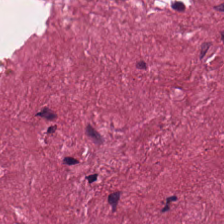Hematoxylin and eosin.
Histology → cancer-associated stroma.
